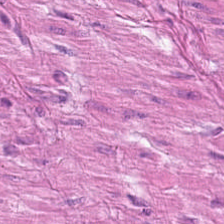H&E. 0.5 µm per pixel.
The tissue here is muscularis.
